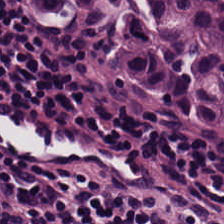Hematoxylin-and-eosin stained section. The tissue here is lymphocyte aggregate.
